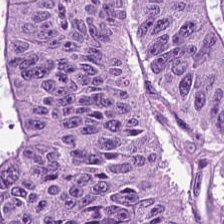H&E stain. Showing malignant epithelium.
